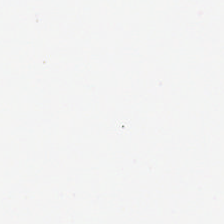Stain: H&E.
Tile size: 224×224 px tile.
Classification: empty background.
